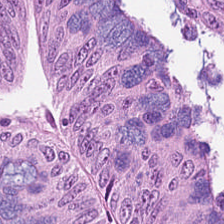H&E stain · 224×224 px patch.
Showing colorectal adenocarcinoma.
